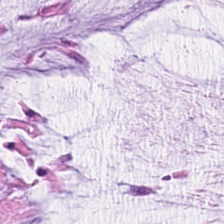Q: Identify the tissue.
A: Extracellular mucin.
